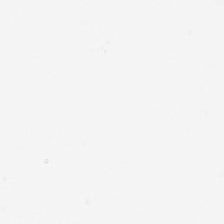Stain: H&E-stained tissue section.
Acquisition: brightfield microscopy.
Classification: background (no tissue).
